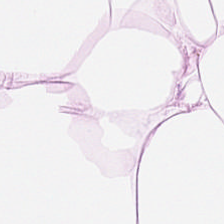H&E; brightfield. Predominantly adipose tissue.
